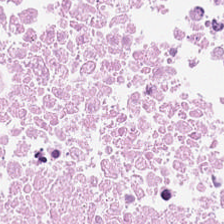Hematoxylin-and-eosin stained section; FFPE tissue section; brightfield microscopy. Tissue: necrotic debris.
